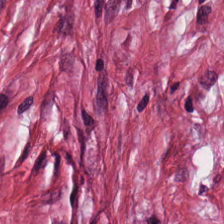H&E stain. The predominant tissue is desmoplastic stroma.
